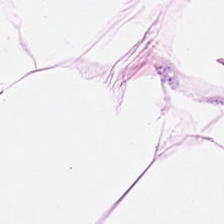H&E stain. The classification is fat tissue.
